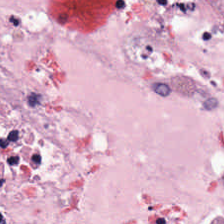224×224 pixel tile. H&E stain.
Tissue type: tumor stroma.
